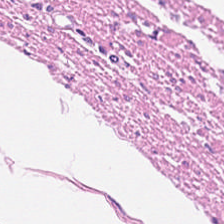0.5 µm per pixel. H&E. Predominantly smooth muscle.
